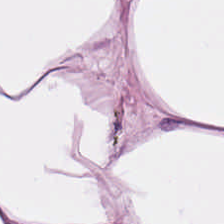{"tissue_type": "fat tissue"}
